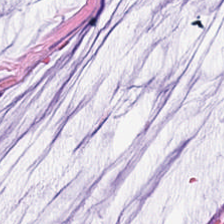0.5 microns per pixel. FFPE tissue section. H&E.
Tissue class — mucus.
